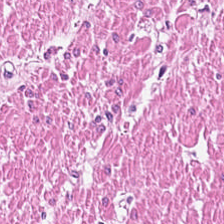FFPE. Hematoxylin-and-eosin stained section.
{"tissue_type": "smooth-muscle tissue"}
